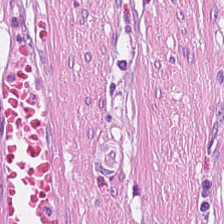FFPE · hematoxylin-and-eosin stained section.
Tissue class: desmoplastic stroma.
